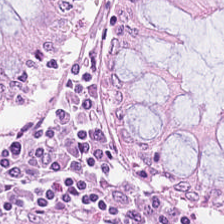Stain: hematoxylin-and-eosin stained section.
Resolution: 20× equivalent magnification.
Acquisition: brightfield.
Tissue class: normal colonic mucosa.
